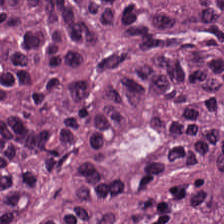Hematoxylin and eosin · whole-slide-image patch — Tissue — colorectal adenocarcinoma epithelium.
